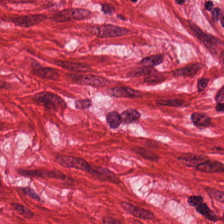224×224 pixel tile; hematoxylin-and-eosin stained section. Tissue type — smooth muscle.
